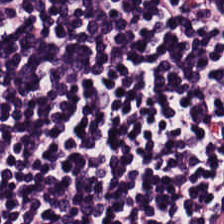Stain: H&E stain.
Tissue class: lymphocyte aggregate.
